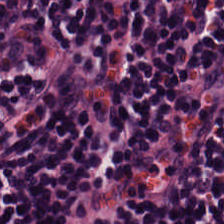Stain: hematoxylin and eosin.
Tile size: 224×224 px patch.
Tissue: lymphoid infiltrate.
